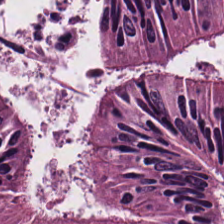224×224 pixel tile; hematoxylin and eosin. {"tissue_type": "colorectal adenocarcinoma epithelium"}
